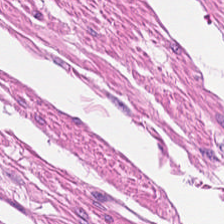H&E stain. WSI patch — Muscularis.
